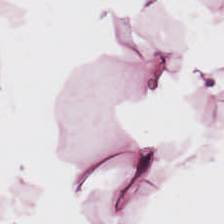Stain: hematoxylin and eosin.
Resolution: 0.5 µm per pixel.
Tissue type: adipose tissue.
